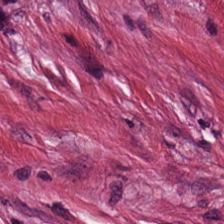Hematoxylin-and-eosin stained section. Brightfield. 0.5 microns per pixel.
Q: Classify this patch.
A: It is desmoplastic stroma.
